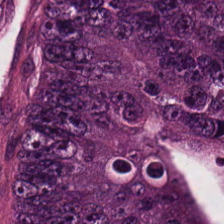Stain: H&E.
Tissue: malignant epithelium.
